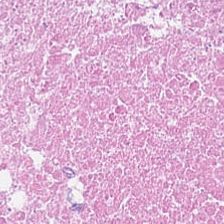Classification = necrotic debris.
